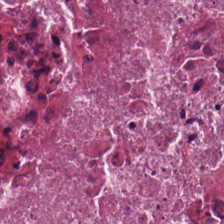Finding → debris.
